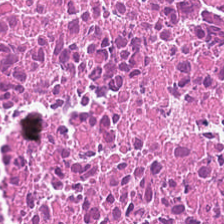Tissue = cellular debris.
